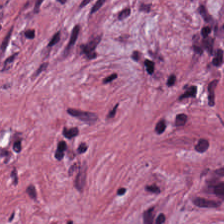0.5 µm/px · H&E · WSI patch.
The classification is tumor stroma.
